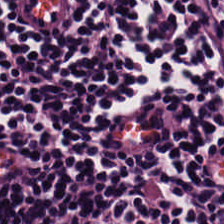Hematoxylin-and-eosin stained section — Q: What is the predominant tissue type?
A: It is lymphocytic infiltrate.
